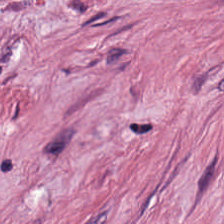FFPE; H&E stain; 0.5 microns per pixel — The tissue is tumor-associated stroma.
